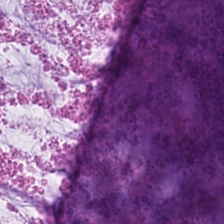Hematoxylin-and-eosin stained section · brightfield microscopy · formalin-fixed paraffin-embedded section. Showing mucin.
